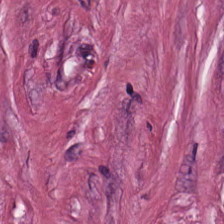H&E · WSI patch — The predominant tissue is tumor-associated stroma.
